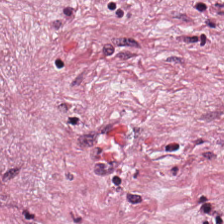H&E stain — Impression → tumor stroma.
